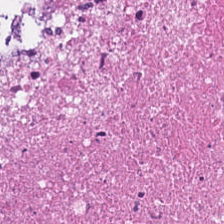Stain: H&E.
Tissue: cellular debris.
